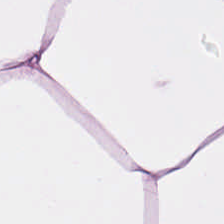Q: What tissue type is shown here?
A: The field shows adipose.
